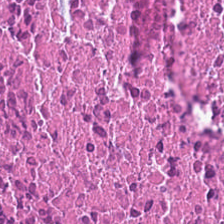Brightfield microscopy · formalin-fixed paraffin-embedded section · H&E-stained tissue section.
This patch shows debris.
